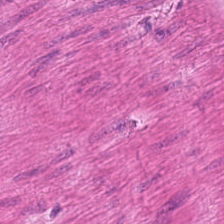Q: What type of tissue is this?
A: It is smooth muscle.
